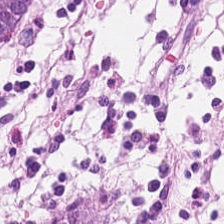Stain: H&E-stained tissue section.
Preparation: FFPE tissue section.
Acquisition: WSI patch.
Tissue class: normal colonic mucosa.
